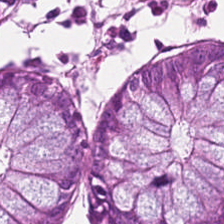H&E — Tissue class — normal colonic mucosa.
